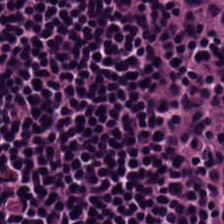H&E — Tissue class = lymphocytes.
